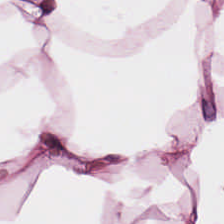H&E-stained tissue section; formalin-fixed paraffin-embedded section.
Histology → adipose.
